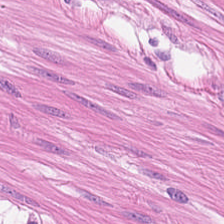Stain: hematoxylin-and-eosin stained section.
Tile size: 224×224 pixel tile.
Acquisition: WSI patch.
Classification: smooth-muscle tissue.
